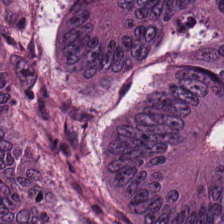Hematoxylin-and-eosin stained section. 0.5 µm per pixel.
{"tissue_type": "tumor epithelium"}
